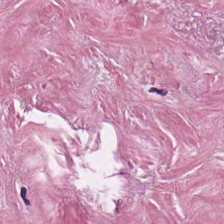H&E-stained tissue section.
The predominant tissue is tumor stroma.
